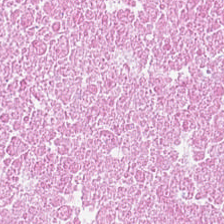Hematoxylin and eosin. 0.5 microns per pixel. Tissue type = debris.
